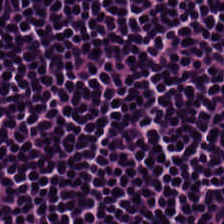224×224 px tile. Brightfield. H&E stain — This field is lymphocytic infiltrate.
